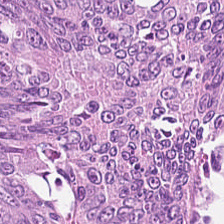Tissue class = malignant epithelium.
